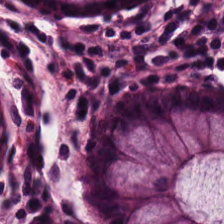Hematoxylin-and-eosin stained section · 224×224 pixel tile.
This field is normal colon mucosa.
